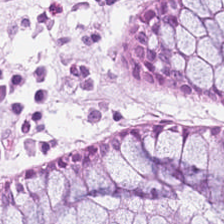Hematoxylin-and-eosin stained section. 224×224 pixel tile.
Tissue class — normal colon mucosa.
